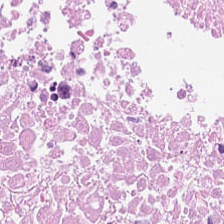Hematoxylin-and-eosin stained section — Classification: necrotic debris.
